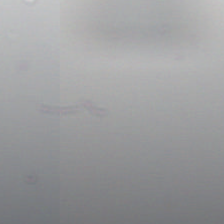0.5 microns per pixel; hematoxylin and eosin — Finding → background (no tissue).
